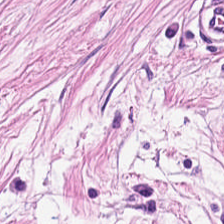H&E-stained tissue section. The classification is tumor stroma.
